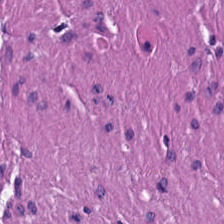Brightfield microscopy; H&E-stained tissue section — Predominant tissue = smooth-muscle tissue.
